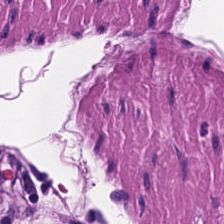Predominant tissue: smooth muscle.
